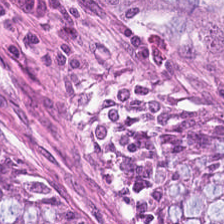Q: What tissue is shown?
A: This is normal colon mucosa.
